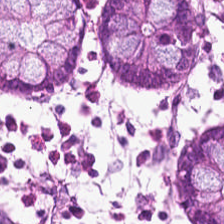Q: Identify the tissue.
A: It is benign colonic mucosa.
